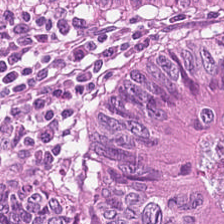224×224 pixel tile · H&E-stained tissue section. Histology → colorectal adenocarcinoma epithelium.
